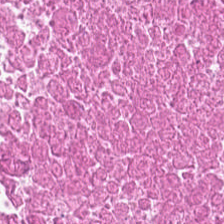H&E; 20× equivalent magnification — {"tissue_type": "cellular debris"}
